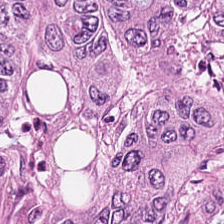Whole-slide-image patch · H&E-stained tissue section. Tissue — malignant epithelium.
